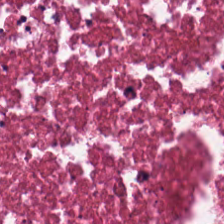H&E.
Q: Identify the tissue.
A: The field shows necrotic debris.
